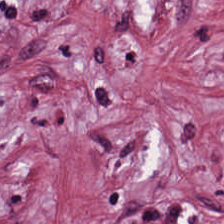Formalin-fixed paraffin-embedded section. Hematoxylin and eosin — The tissue class is desmoplastic stroma.
